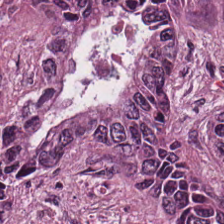H&E stain; whole-slide-image patch — Tumor epithelium.
